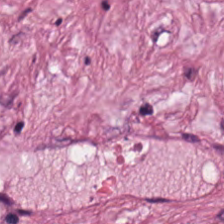H&E-stained tissue section. Formalin-fixed paraffin-embedded section.
Q: What is shown in this field?
A: Cancer-associated stroma.
